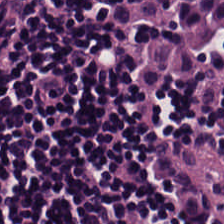0.5 microns per pixel; WSI patch; H&E stain — Q: What is shown in this field?
A: It is lymphoid infiltrate.
